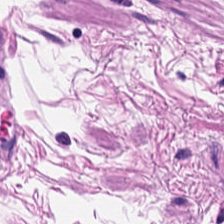Hematoxylin-and-eosin stained section; brightfield microscopy.
{"tissue_type": "smooth muscle"}
